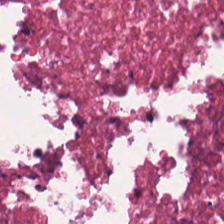Q: What does this patch show?
A: It is necrotic debris.
